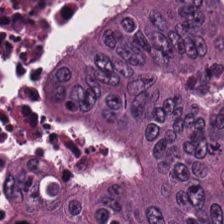Hematoxylin-and-eosin stained section.
Tissue class = colorectal adenocarcinoma.
